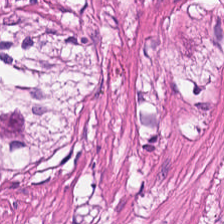Hematoxylin and eosin. Smooth-muscle tissue.
